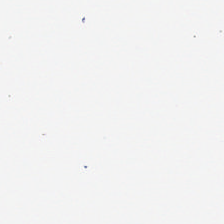FFPE; H&E.
Content — empty background.
